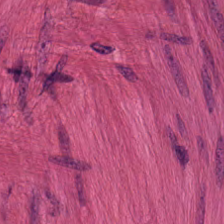Hematoxylin-and-eosin stained section.
The predominant tissue is smooth muscle.
